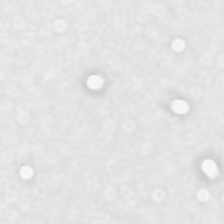H&E-stained tissue section. Empty field — background (no tissue).
